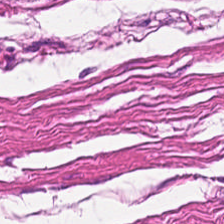Hematoxylin and eosin; 20× equivalent magnification; formalin-fixed paraffin-embedded section — Q: What is shown here?
A: Muscularis.
